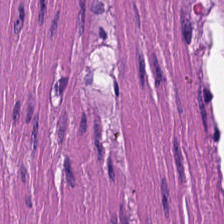Hematoxylin and eosin. Finding → smooth-muscle tissue.
